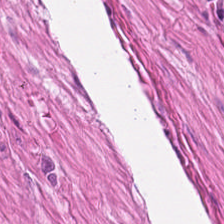H&E stain — The predominant tissue is smooth-muscle tissue.
